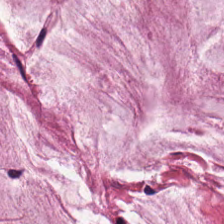Hematoxylin-and-eosin stained section. Tissue class — mucin.
